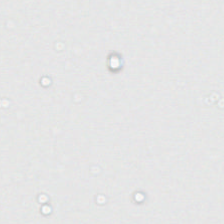Hematoxylin and eosin.
No tissue present; background only.
